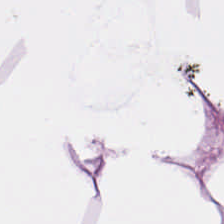Hematoxylin and eosin. Whole-slide-image patch. Formalin-fixed paraffin-embedded section.
This patch shows adipose.
